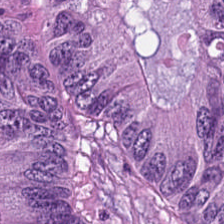Hematoxylin and eosin — {"tissue_type": "colorectal adenocarcinoma"}
